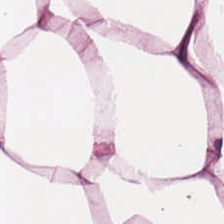0.5 µm/px · H&E stain.
Predominantly fat tissue.
